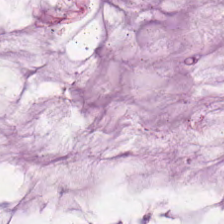The tissue type is mucin.
